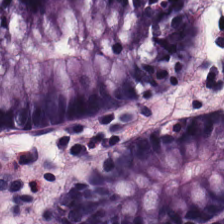H&E. 20× equivalent magnification. 224×224 pixel tile — {"tissue_type": "non-neoplastic colon mucosa"}
